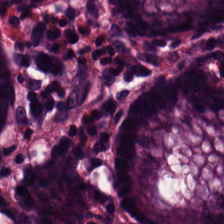Predominant tissue: non-neoplastic colon mucosa.
